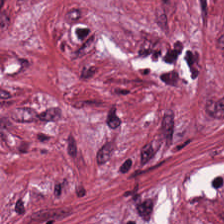Tissue type — cancer-associated stroma.
